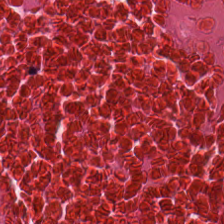H&E-stained tissue section. Tissue class — cellular debris.
